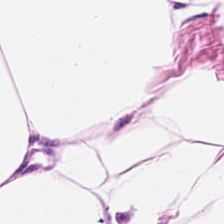This patch shows fat tissue.
